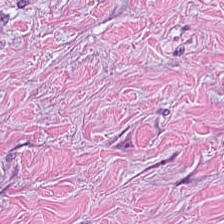H&E-stained tissue section; formalin-fixed paraffin-embedded section — Q: What type of tissue is this?
A: It is cancer-associated stroma.
